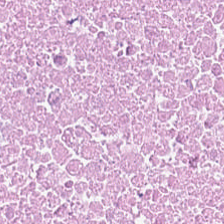H&E stain — Impression → debris.
